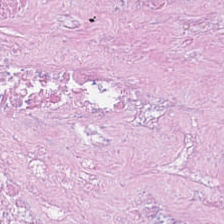H&E-stained tissue section · FFPE tissue section — Impression → cellular debris.
